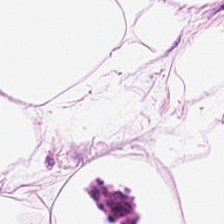The predominant tissue is adipose.
